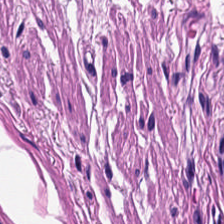Hematoxylin and eosin; FFPE tissue section.
Predominantly muscularis.
